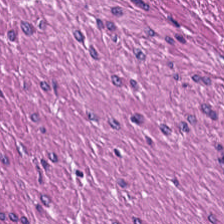0.5 microns per pixel · H&E — {"tissue_type": "smooth-muscle tissue"}
